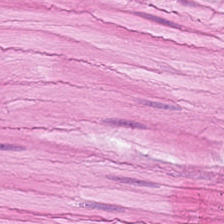H&E. The tissue type is muscularis.
